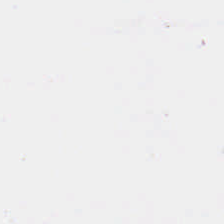H&E stain.
Q: Classify this patch.
A: This is background (no tissue).
